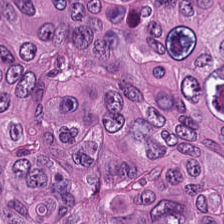This patch shows malignant epithelium.
